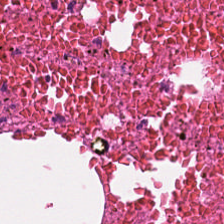H&E stain. Q: What tissue is shown?
A: Necrotic debris.
